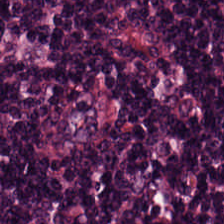Hematoxylin and eosin · FFPE — Tissue class: lymphoid infiltrate.
